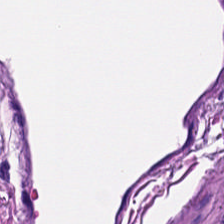Stain: H&E-stained tissue section.
Classification: smooth-muscle tissue.
